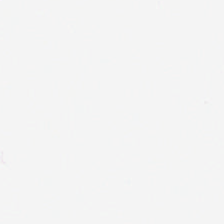H&E. This patch shows background (no tissue).
